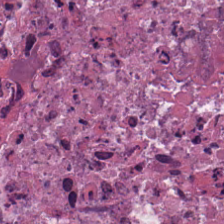0.5 µm/px; H&E.
Q: What tissue type is shown here?
A: Cellular debris.
